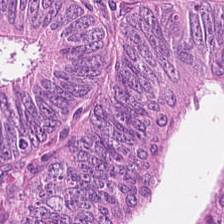Hematoxylin and eosin.
Predominant tissue: adenocarcinoma.
